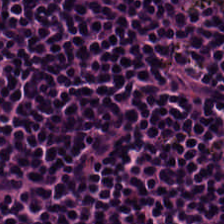Q: What is shown in this field?
A: It is lymphocytes.
